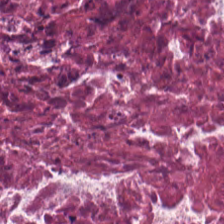Stain: H&E.
Tissue class: cellular debris.
